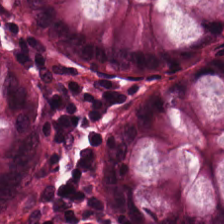Hematoxylin-and-eosin stained section. Q: What is shown in this field?
A: This is benign colonic mucosa.
